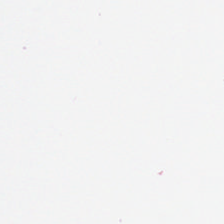Histology — empty background.
